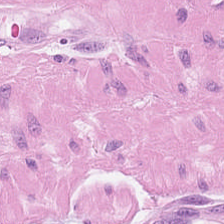H&E. Smooth-muscle tissue.
